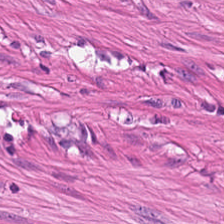H&E-stained tissue section. FFPE tissue section. Whole-slide-image patch — Q: What does this patch show?
A: The field shows muscularis.
